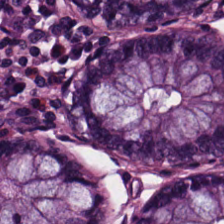H&E stain. Q: What type of tissue is this?
A: This is non-neoplastic colon mucosa.
